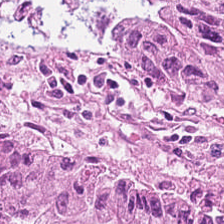224×224 pixel tile. Formalin-fixed paraffin-embedded section. Hematoxylin-and-eosin stained section. Showing colorectal adenocarcinoma epithelium.
